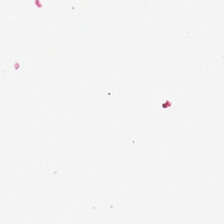Formalin-fixed paraffin-embedded section; H&E stain — Field content: no tissue.
